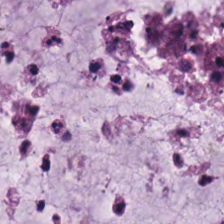Formalin-fixed paraffin-embedded section. 224×224 px tile. Hematoxylin-and-eosin stained section.
Histology — mucus.
